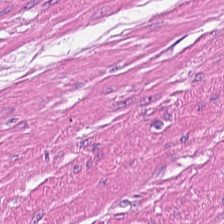0.5 µm/px. WSI patch. H&E.
Predominant tissue = smooth muscle.
